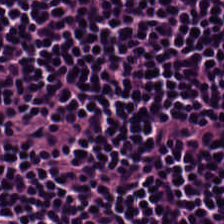Hematoxylin-and-eosin stained section.
The tissue here is lymphocyte aggregate.
